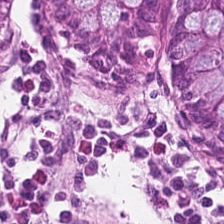H&E stain.
Impression — non-neoplastic colon mucosa.
